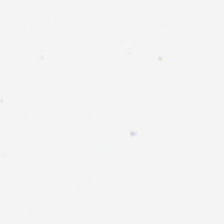Empty field — background.
